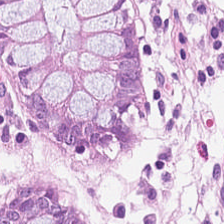This field is normal colon mucosa.
